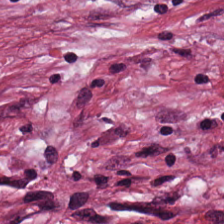Brightfield; hematoxylin and eosin; FFPE — The predominant tissue is desmoplastic stroma.
